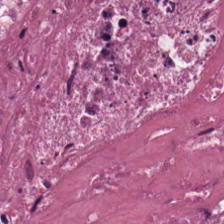Stain: H&E stain.
Tissue class: necrotic debris.
